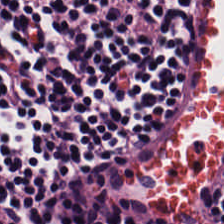Stain: hematoxylin-and-eosin stained section.
Tissue class: lymphoid infiltrate.
